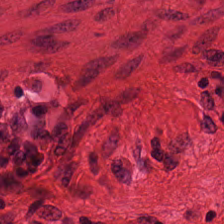Stain: hematoxylin and eosin.
Tile size: 224×224 pixel tile.
Acquisition: brightfield microscopy.
Classification: smooth-muscle tissue.
